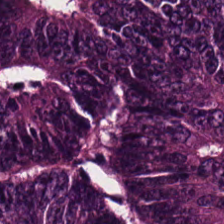Stain: hematoxylin and eosin.
Resolution: 0.5 µm/px.
Predominant tissue: tumor epithelium.
